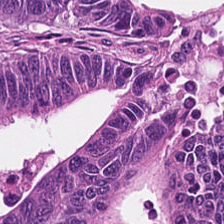{"tissue_type": "malignant epithelium"}
